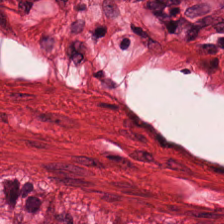H&E stain. Showing smooth muscle.
